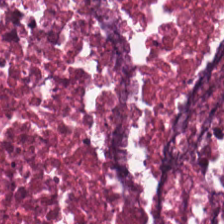H&E-stained tissue section · whole-slide-image patch. The tissue here is cellular debris.
